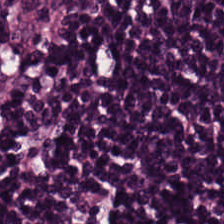WSI patch; H&E; 0.5 microns per pixel. Lymphocyte aggregate.
